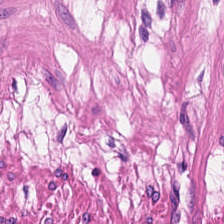Predominantly smooth-muscle tissue.
